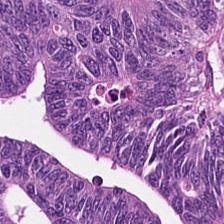Stain: H&E stain.
Preparation: FFPE.
Tile size: 224×224 px tile.
Classification: malignant epithelium.
